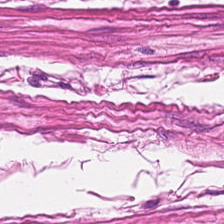H&E stain — The tissue here is smooth muscle.
